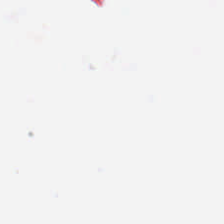Stain: hematoxylin and eosin.
Preparation: FFPE tissue section.
Tile size: 224×224 px patch.
Content: empty background.
